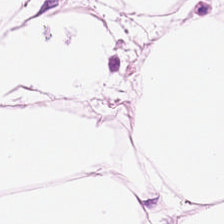H&E-stained tissue section. Brightfield microscopy. 224×224 px tile — Adipose tissue.
